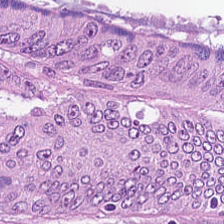H&E patch showing colorectal adenocarcinoma.
